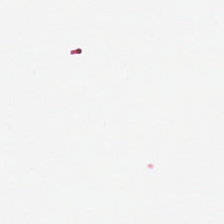Hematoxylin and eosin — This field is background (no tissue).
